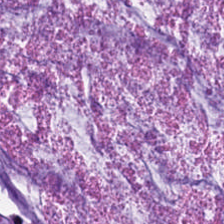Stain: H&E.
Tissue type: mucus.
